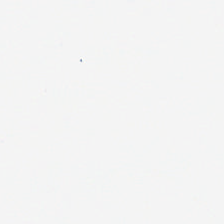Formalin-fixed paraffin-embedded section. H&E stain. Whole-slide-image patch.
Q: Classify this patch.
A: Background (no tissue).
